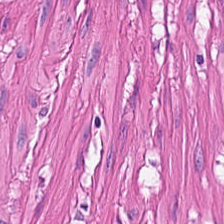H&E.
Q: Classify this patch.
A: The field shows smooth-muscle tissue.
